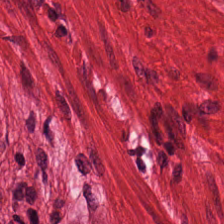Stain: H&E-stained tissue section.
Tissue class: smooth muscle.
